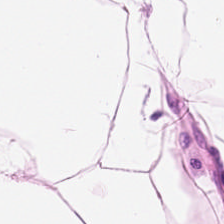H&E-stained section; the field shows adipose.
